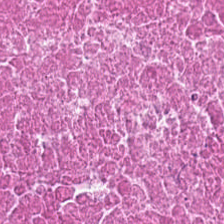Hematoxylin-and-eosin stained section. WSI patch. 20× equivalent magnification.
Q: What tissue is shown?
A: The field shows debris.
